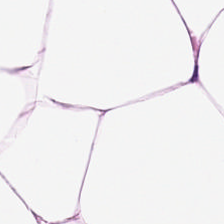H&E-stained tissue section — Q: Identify the tissue.
A: It is adipocytes.
